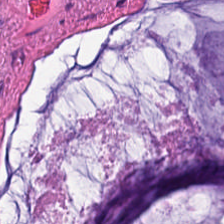Hematoxylin and eosin. This field is mucin.
